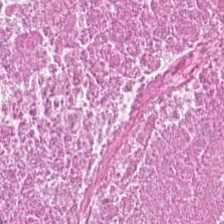0.5 µm per pixel · 224×224 px tile · H&E stain. Classification: debris.
